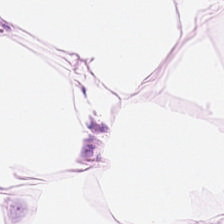H&E-stained tissue section. Showing fat tissue.
